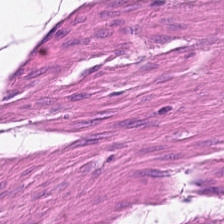H&E; 224×224 px patch — This field is smooth muscle.
